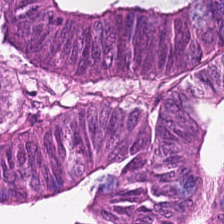H&E. {"tissue_type": "tumor epithelium"}
